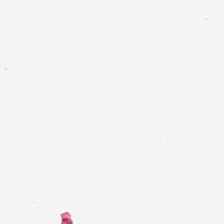0.5 µm per pixel. H&E stain. Impression → empty background.
